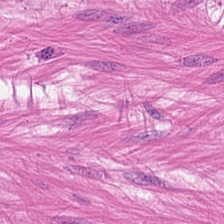WSI patch. 224×224 px tile. Hematoxylin-and-eosin stained section.
Impression — muscularis.
